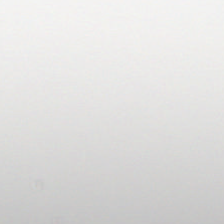224×224 px tile · hematoxylin and eosin · whole-slide-image patch — This field is background (no tissue).
